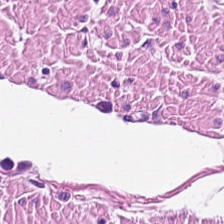H&E — Q: What does this patch show?
A: Smooth-muscle tissue.
